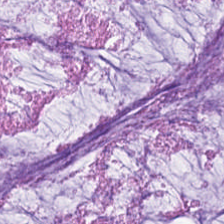Finding — mucus.
